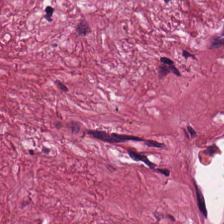H&E-stained tissue section. Showing desmoplastic stroma.
